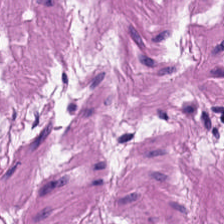H&E; 0.5 µm/px; WSI patch — Predominantly smooth muscle.
